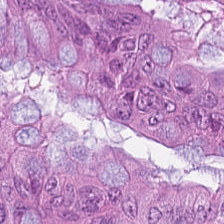0.5 µm/px; H&E stain — The tissue here is colorectal adenocarcinoma.
